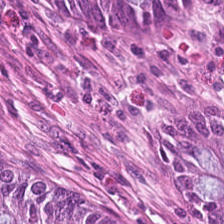Brightfield. Hematoxylin and eosin — Tissue: non-neoplastic colon mucosa.
